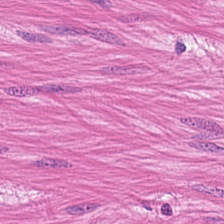H&E — The tissue here is muscularis.
